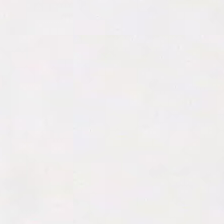Hematoxylin and eosin · formalin-fixed paraffin-embedded section — This field is background (no tissue).
